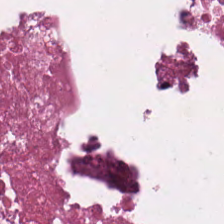H&E.
The tissue class is necrotic debris.
